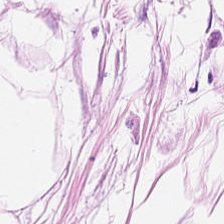Hematoxylin-and-eosin stained section. Whole-slide-image patch — The tissue here is adipose.
